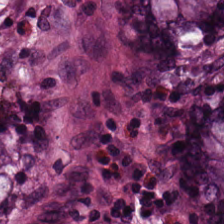H&E stain.
Non-neoplastic colon mucosa.
